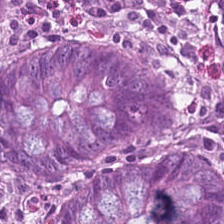Hematoxylin and eosin · FFPE tissue section. Impression — benign colonic mucosa.
